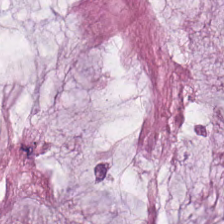H&E. Showing extracellular mucin.
